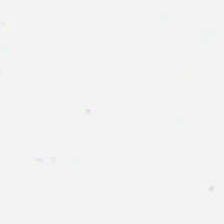Hematoxylin-and-eosin stained section — Q: What is shown here?
A: No tissue.
